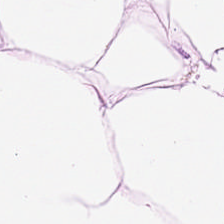Brightfield. Hematoxylin-and-eosin stained section. FFPE. Adipocytes.
